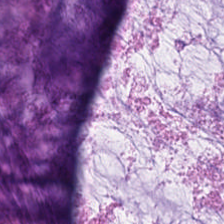H&E stain; whole-slide-image patch.
Predominantly extracellular mucin.
